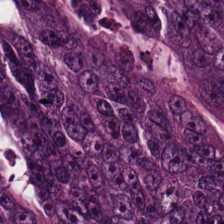Q: What is shown in this field?
A: It is colorectal adenocarcinoma.
